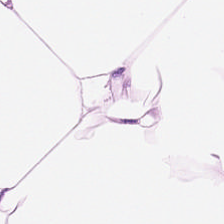0.5 µm/px; hematoxylin-and-eosin stained section; brightfield.
This patch shows adipose tissue.
